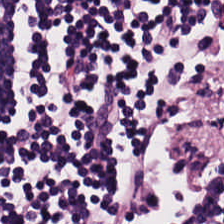Stain: H&E stain.
Acquisition: whole-slide-image patch.
Tile size: 224×224 px patch.
Tissue type: lymphoid infiltrate.
